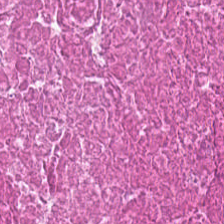Hematoxylin-and-eosin stained section — The tissue here is necrotic debris.
